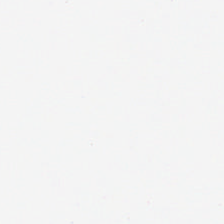H&E stain; brightfield. This patch shows background (no tissue).
